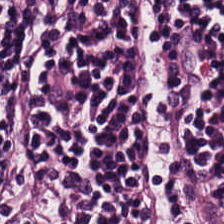H&E-stained tissue section · brightfield. Tissue type = lymphocytic infiltrate.
